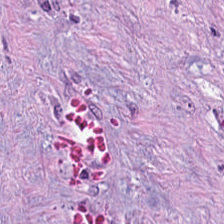Formalin-fixed paraffin-embedded section · brightfield · H&E. Predominantly tumor-associated stroma.
